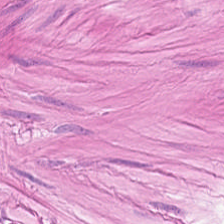Hematoxylin-and-eosin stained section.
Q: What does this patch show?
A: The field shows smooth muscle.
